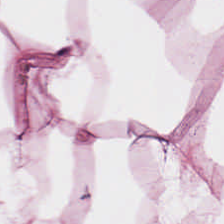Predominant tissue = adipose tissue.
